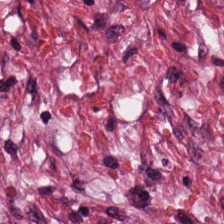Tissue type = tumor-associated stroma.
